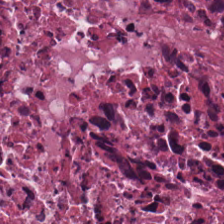H&E stain; FFPE. Impression → cellular debris.
